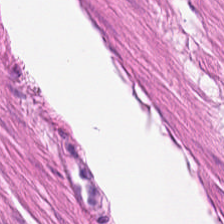224×224 px patch. H&E stain. Q: Identify the tissue.
A: Muscularis.
